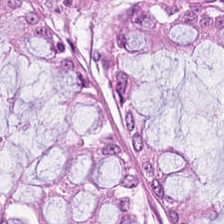Q: What type of tissue is this?
A: It is non-neoplastic colon mucosa.
